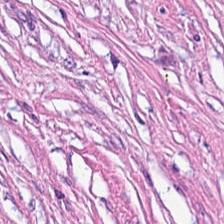H&E stain. FFPE. Tissue class: tumor-associated stroma.
